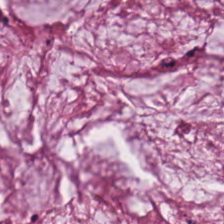224×224 pixel tile; H&E-stained tissue section; FFPE tissue section — {"tissue_type": "mucin"}
